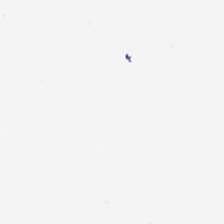224×224 px tile; hematoxylin and eosin.
Field content: empty background.
